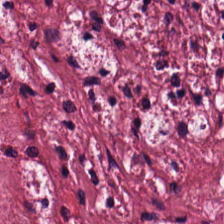Hematoxylin-and-eosin stained section. This field is cancer-associated stroma.
